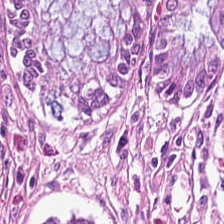20× equivalent magnification. Hematoxylin-and-eosin stained section. Q: What type of tissue is this?
A: The field shows normal colon mucosa.
